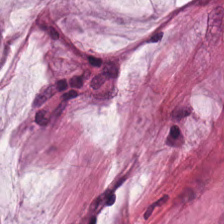Brightfield. Formalin-fixed paraffin-embedded section. H&E-stained tissue section. Predominant tissue — mucin.
